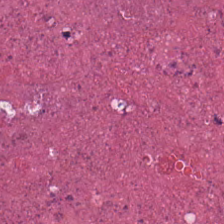Stain: hematoxylin-and-eosin stained section.
Preparation: FFPE tissue section.
Resolution: 0.5 µm/px.
Tissue type: debris.
